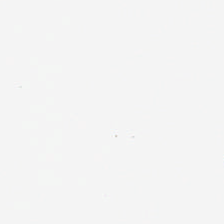This patch shows empty background.
